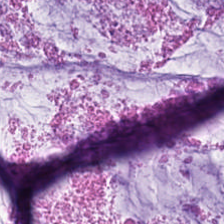H&E · formalin-fixed paraffin-embedded section.
Q: What is the predominant tissue type?
A: The field shows extracellular mucin.
